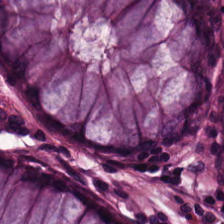FFPE tissue section; H&E stain; brightfield — Predominantly normal colon mucosa.
